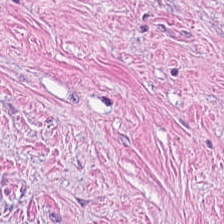H&E stain.
Predominantly tumor stroma.
